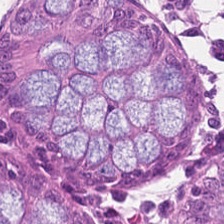H&E-stained tissue section. Classification = normal colon mucosa.
